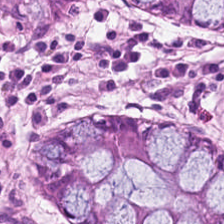Hematoxylin and eosin. Predominantly benign colonic mucosa.
